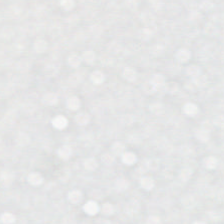Stain: H&E stain.
Field content: background.
